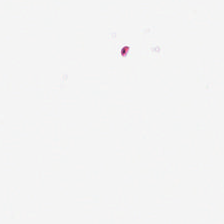0.5 µm per pixel · hematoxylin-and-eosin stained section · formalin-fixed paraffin-embedded section — Background.
